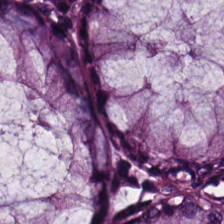Hematoxylin-and-eosin stained section — Predominantly normal colonic mucosa.
